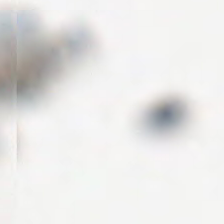Content = background (no tissue).
